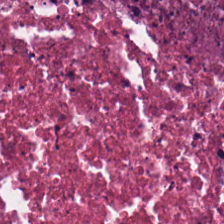Hematoxylin and eosin — Predominant tissue: necrotic debris.
